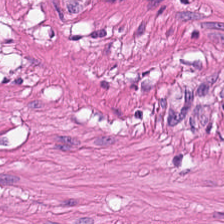This patch shows muscularis.
